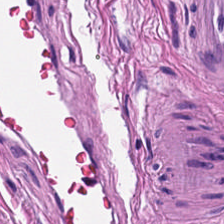Whole-slide-image patch. Hematoxylin-and-eosin stained section — Impression — smooth muscle.
